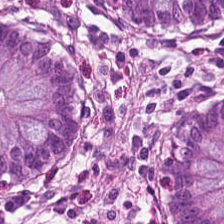Hematoxylin-and-eosin stained section. Tissue class = normal colon mucosa.
